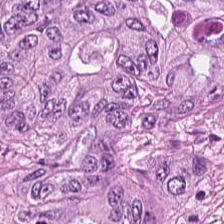H&E · FFPE tissue section. The predominant tissue is colorectal adenocarcinoma epithelium.
